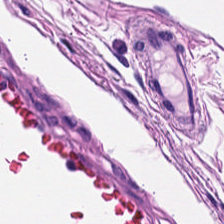Showing smooth muscle.
